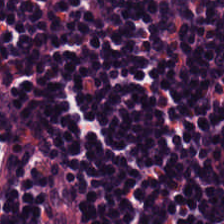H&E-stained tissue section. Predominant tissue = lymphocytic infiltrate.
